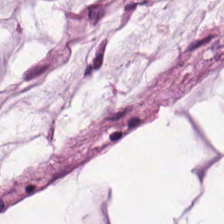Stain: hematoxylin-and-eosin stained section.
Classification: mucin.
